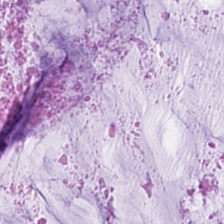H&E. Formalin-fixed paraffin-embedded section. Q: What does this patch show?
A: The field shows mucin.
